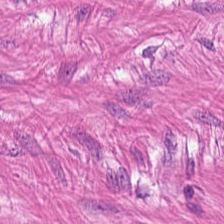Hematoxylin and eosin. FFPE — Classification — smooth muscle.
